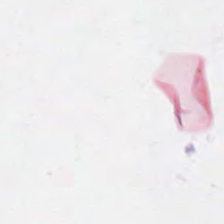H&E stain — Classification = no tissue.
